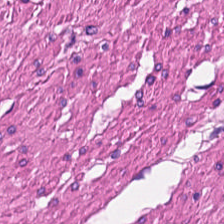H&E — {"tissue_type": "smooth muscle"}
